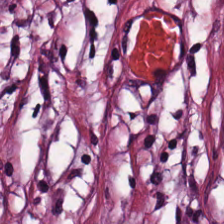Hematoxylin and eosin. This patch shows tumor stroma.
